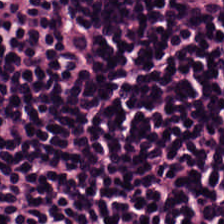Q: What type of tissue is this?
A: The field shows lymphocytic infiltrate.
